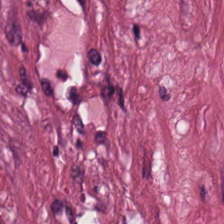FFPE. H&E-stained tissue section. The predominant tissue is desmoplastic stroma.
